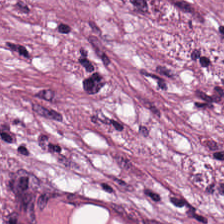Tissue type — cancer-associated stroma.
